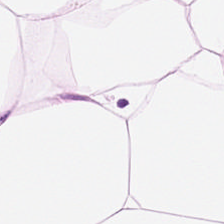Stain: H&E.
Predominant tissue: fat tissue.
